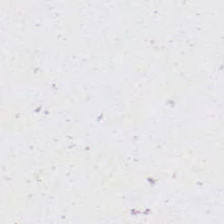H&E-stained tissue section. 20× equivalent magnification. Empty field — background.
